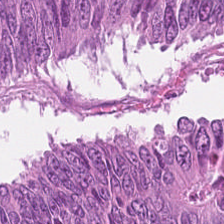Tumor epithelium.
